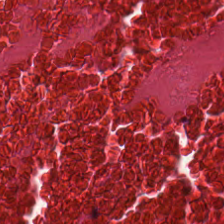H&E-stained tissue section — Histology — necrotic debris.
